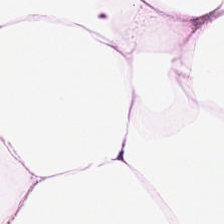H&E. Tissue type — adipocytes.
